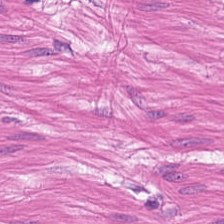H&E stain. Showing muscularis.
